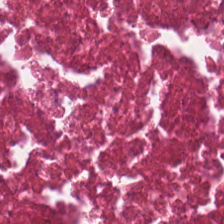Q: What tissue is shown?
A: Cellular debris.
